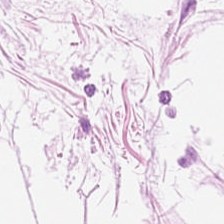0.5 µm per pixel; H&E.
Fat tissue.
